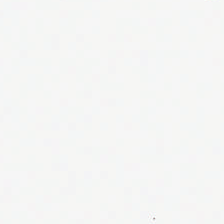H&E-stained tissue section.
Histology — background.
